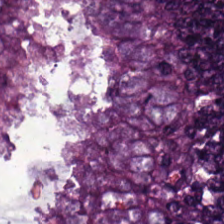Histology — colorectal adenocarcinoma epithelium.
